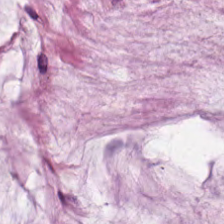The predominant tissue is extracellular mucin.
